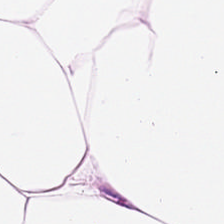Brightfield; FFPE; H&E — Predominant tissue — fat tissue.
